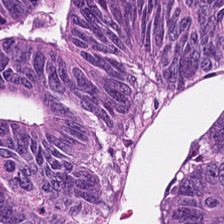0.5 microns per pixel. Hematoxylin and eosin. 224×224 px tile — Classification: tumor epithelium.
